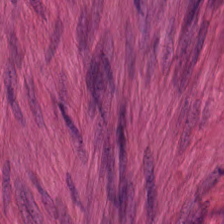Stain: hematoxylin-and-eosin stained section.
Tissue: smooth-muscle tissue.
